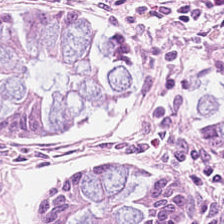Stain: H&E-stained tissue section.
Tile size: 224×224 px tile.
Acquisition: whole-slide-image patch.
Predominant tissue: normal colonic mucosa.
